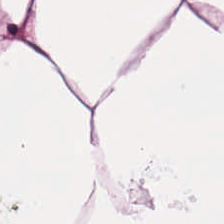H&E stain.
This patch shows adipose tissue.
